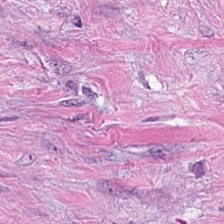Hematoxylin-and-eosin stained section. This patch shows cancer-associated stroma.
